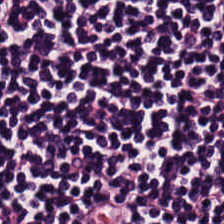H&E. Q: What is shown in this field?
A: Lymphocytes.
